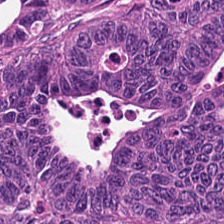Hematoxylin-and-eosin section: colorectal adenocarcinoma epithelium.
